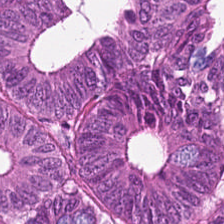H&E stain. Q: What is the predominant tissue type?
A: The field shows adenocarcinoma.
